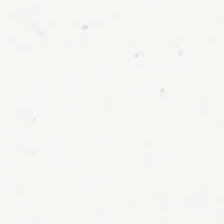Hematoxylin-and-eosin stained section; formalin-fixed paraffin-embedded section. {"content": "background"}
